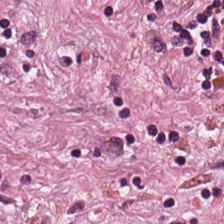H&E-stained tissue section — {"tissue_type": "tumor stroma"}
